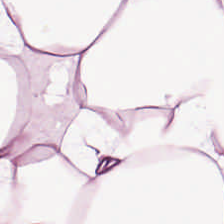224×224 px tile; hematoxylin and eosin. This patch shows fat tissue.
